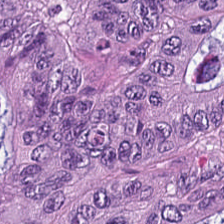Predominantly colorectal adenocarcinoma epithelium.
